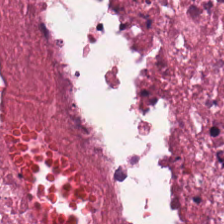H&E patch showing necrotic debris.
